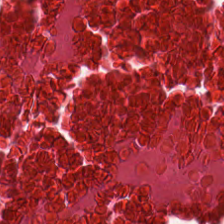Tissue = debris.
